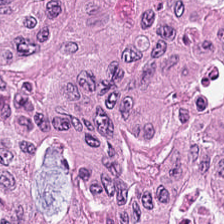Stain: H&E-stained tissue section.
Tissue class: tumor epithelium.
